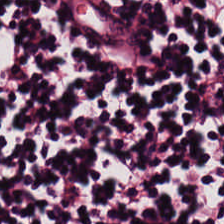Brightfield microscopy · H&E. Showing lymphocyte aggregate.
